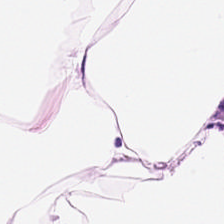H&E patch showing fat tissue.
